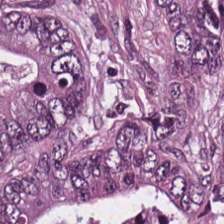H&E. WSI patch — The tissue is colorectal adenocarcinoma epithelium.
